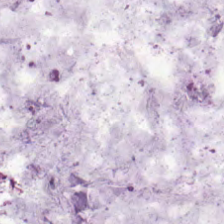The tissue here is mucin.
